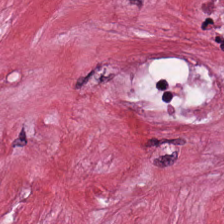H&E — Q: What does this patch show?
A: Tumor stroma.
